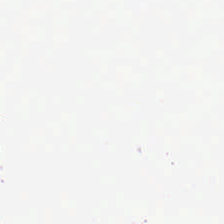H&E.
Q: What does this patch show?
A: It is empty background.
